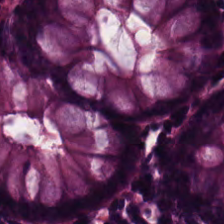Hematoxylin-and-eosin section: normal colonic mucosa.
